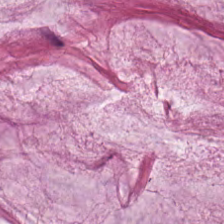This field is extracellular mucin.
